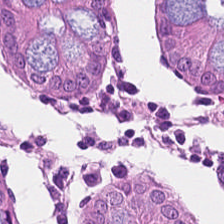0.5 µm/px; hematoxylin and eosin — Classification = normal colonic mucosa.
